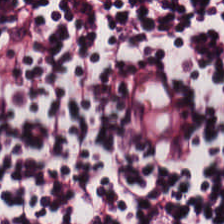Stain: hematoxylin-and-eosin stained section.
Tissue type: lymphocytes.
